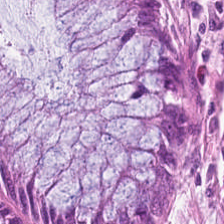H&E stain — Benign colonic mucosa.
